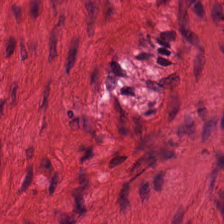H&E stain; 224×224 px tile.
Q: What is shown in this field?
A: It is muscularis.
